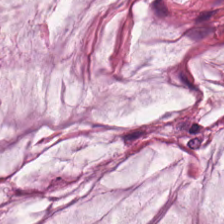224×224 px patch. H&E.
Showing mucus.
